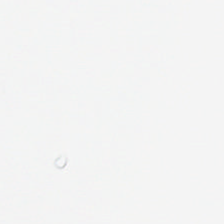Field content — no tissue.
